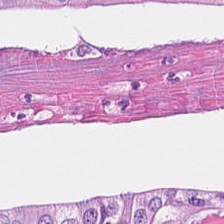Hematoxylin-and-eosin stained section · 224×224 pixel tile.
This field is adenocarcinoma.
